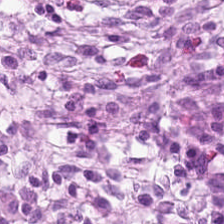0.5 microns per pixel; H&E; FFPE tissue section.
Q: Identify the tissue.
A: Benign colonic mucosa.
